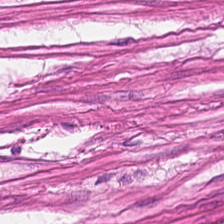Hematoxylin-and-eosin stained section; 224×224 px patch — The tissue is smooth-muscle tissue.
